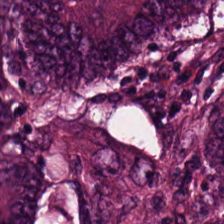Hematoxylin and eosin.
Classification = malignant epithelium.
